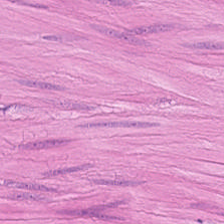H&E-stained tissue section — The tissue is smooth-muscle tissue.
